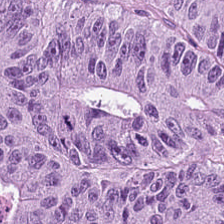H&E stain.
The tissue class is colorectal adenocarcinoma.
